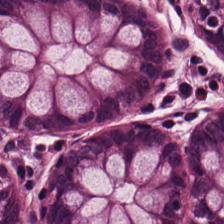H&E stain. The tissue type is benign colonic mucosa.
